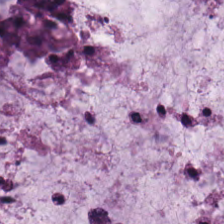Predominant tissue = mucus.
